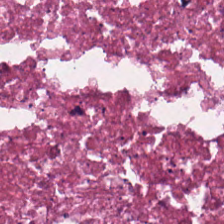Classification — debris.
